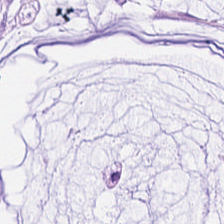H&E; brightfield — {"tissue_type": "extracellular mucin"}
